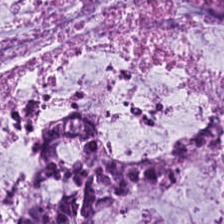H&E stain. Predominantly mucus.
